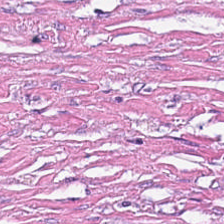H&E — Predominantly tumor-associated stroma.
